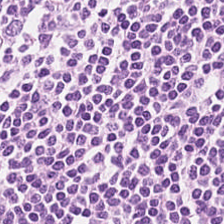Hematoxylin and eosin.
Finding → lymphocytes.
